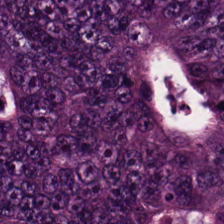Q: What does this patch show?
A: The field shows tumor epithelium.
